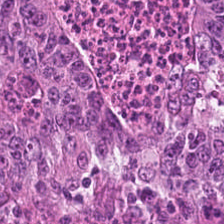Stain: H&E-stained tissue section.
Resolution: 0.5 µm per pixel.
Preparation: formalin-fixed paraffin-embedded section.
Tissue: malignant epithelium.
